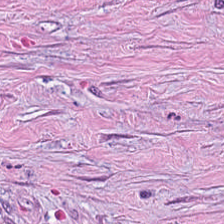Q: Classify this patch.
A: It is tumor stroma.
